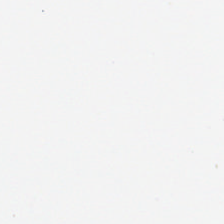H&E-stained tissue section — The field content is no tissue.
